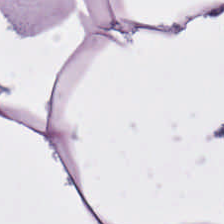Stain: H&E stain.
Tile size: 224×224 px tile.
Classification: adipocytes.
